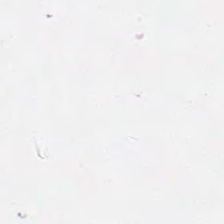H&E stain. 224×224 px patch. 0.5 microns per pixel — This field is background (no tissue).
